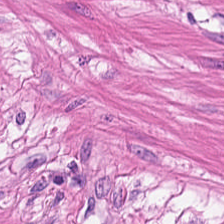Stain: H&E stain.
Classification: smooth-muscle tissue.
